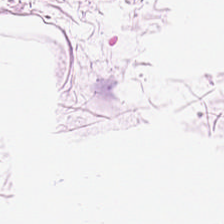Hematoxylin-and-eosin stained section — Classification = adipose tissue.
